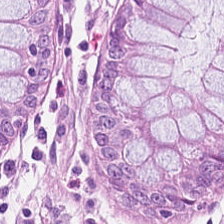Hematoxylin and eosin. The tissue here is normal colonic mucosa.
